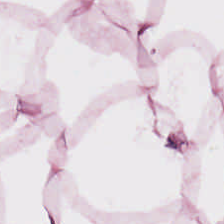224×224 px tile. Formalin-fixed paraffin-embedded section. Hematoxylin-and-eosin stained section — Predominantly fat tissue.
